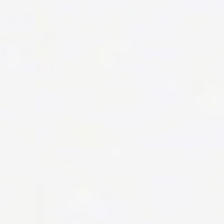H&E; 20× equivalent magnification.
Finding — background.
